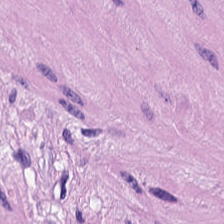224×224 pixel tile; H&E stain; 0.5 µm per pixel — Q: What type of tissue is this?
A: It is smooth muscle.
